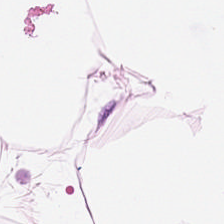Hematoxylin-and-eosin stained section — Q: Classify this patch.
A: The field shows adipocytes.
